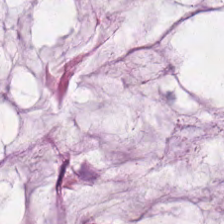H&E-stained tissue section — Extracellular mucin.
